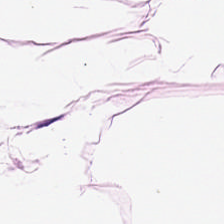H&E-stained tissue section. Tissue: fat tissue.
